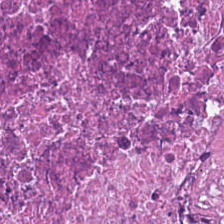The tissue class is debris.
